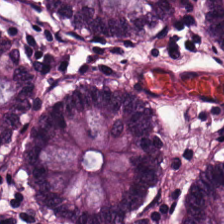The tissue is normal colonic mucosa.
